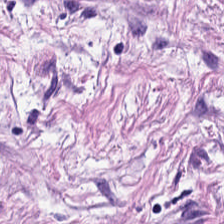H&E. WSI patch. 224×224 px tile. The predominant tissue is desmoplastic stroma.
